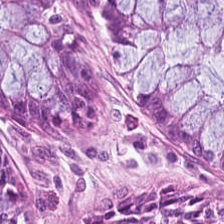Stain: hematoxylin-and-eosin stained section.
Predominant tissue: benign colonic mucosa.
